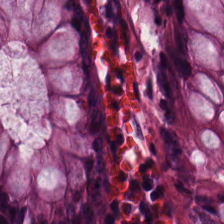H&E-stained tissue section. Formalin-fixed paraffin-embedded section.
Q: What does this patch show?
A: It is benign colonic mucosa.
